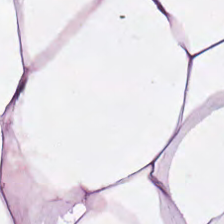H&E; brightfield microscopy.
This field is fat tissue.
